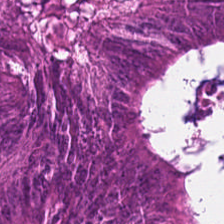Hematoxylin-and-eosin stained section. 20× equivalent magnification — Finding → colorectal adenocarcinoma epithelium.
